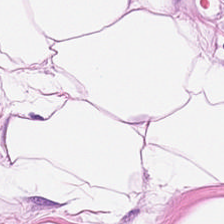Q: What tissue type is shown here?
A: The field shows adipose tissue.
